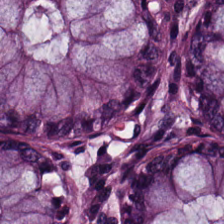The tissue is benign colonic mucosa.
